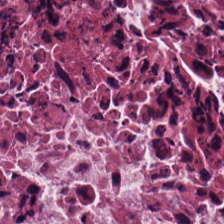H&E; brightfield. The tissue here is cellular debris.
